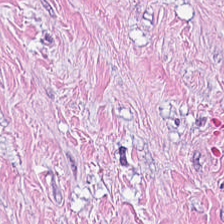Hematoxylin-and-eosin stained section.
Predominant tissue — tumor stroma.
